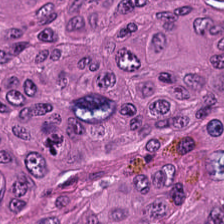H&E stain.
Adenocarcinoma.
